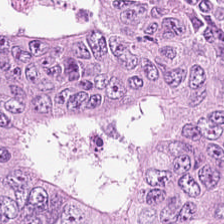H&E stain · brightfield · FFPE tissue section. Finding → colorectal adenocarcinoma epithelium.
